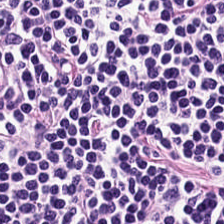H&E-stained section; the field shows lymphocytic infiltrate.
